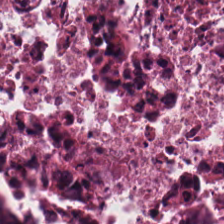Stain: H&E-stained tissue section.
Tissue: necrotic debris.
